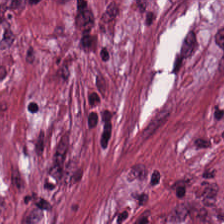Stain: H&E.
Tissue: desmoplastic stroma.
